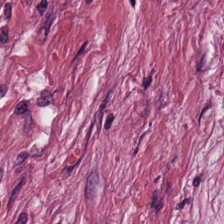224×224 pixel tile. H&E stain. Q: What is shown here?
A: It is desmoplastic stroma.
